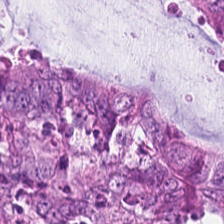Stain: hematoxylin-and-eosin stained section.
Tile size: 224×224 px patch.
Tissue type: tumor epithelium.
